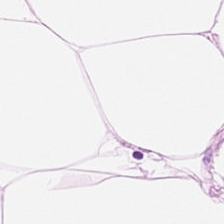Hematoxylin-and-eosin stained section — Showing adipose tissue.
